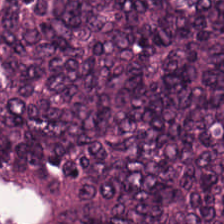H&E; 224×224 px patch; 0.5 µm per pixel. Tissue type: adenocarcinoma.
